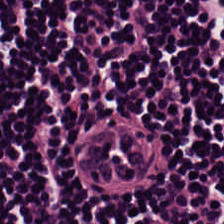Q: What is shown in this field?
A: It is lymphocytes.
